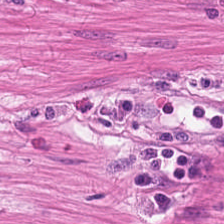Stain: hematoxylin-and-eosin stained section.
Predominant tissue: smooth muscle.
